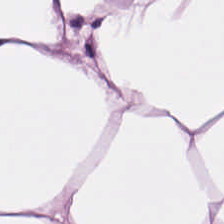H&E-stained tissue section.
Tissue — adipose tissue.
